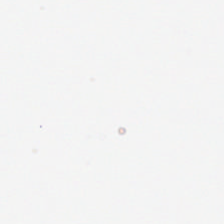Hematoxylin and eosin.
Classification = empty background.
